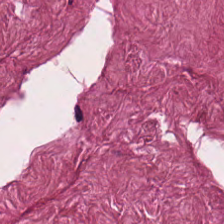H&E — The predominant tissue is desmoplastic stroma.
